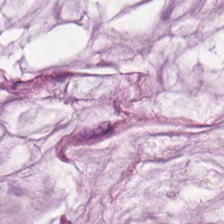0.5 µm/px; H&E stain.
Predominantly mucin.
